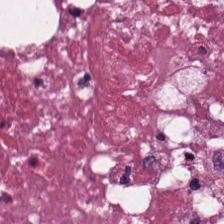Hematoxylin and eosin. This patch shows debris.
